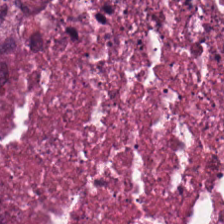Stain: H&E-stained tissue section.
Resolution: 0.5 microns per pixel.
Preparation: FFPE tissue section.
Tissue class: necrotic debris.
